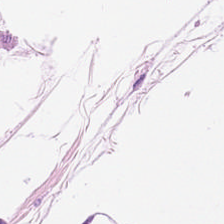Stain: H&E stain.
Preparation: FFPE.
Tile size: 224×224 px patch.
Tissue class: fat tissue.
